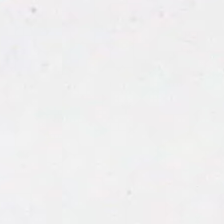The classification is no tissue.
